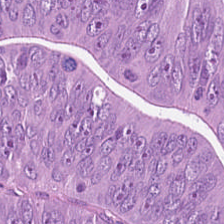H&E stain. Q: Identify the tissue.
A: This is colorectal adenocarcinoma.
